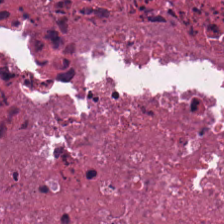This patch shows cellular debris.
